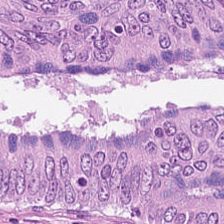Stain: H&E.
Classification: tumor epithelium.
